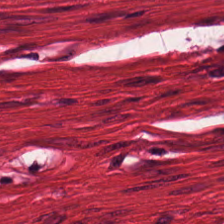224×224 px patch. Hematoxylin-and-eosin stained section — The predominant tissue is muscularis.
